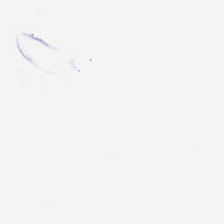FFPE; whole-slide-image patch; H&E-stained tissue section. No tissue.
